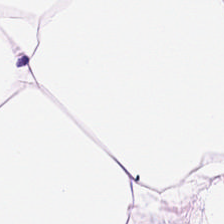H&E · brightfield microscopy · FFPE tissue section — Q: What tissue is shown?
A: The field shows fat tissue.
